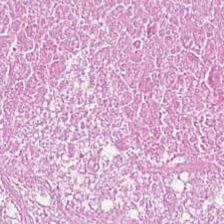H&E-stained tissue section.
Q: What tissue is shown?
A: Debris.
